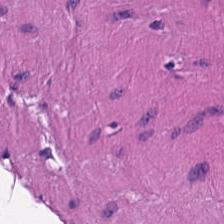H&E.
{"tissue_type": "muscularis"}
